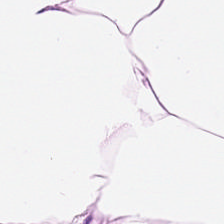Formalin-fixed paraffin-embedded section. Hematoxylin-and-eosin stained section. Fat tissue.
